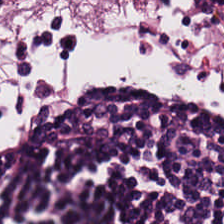Hematoxylin-and-eosin stained section — This field is lymphocytes.
